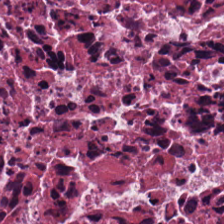Showing necrotic debris.
